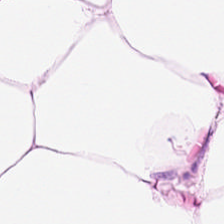FFPE tissue section; 224×224 pixel tile; H&E stain.
Histology — fat tissue.
